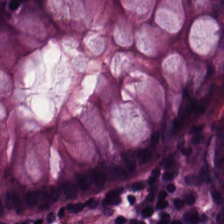Hematoxylin and eosin — Predominantly normal colon mucosa.
